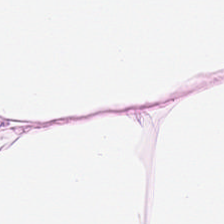Brightfield. 20× equivalent magnification. H&E-stained tissue section.
The tissue class is adipose.
